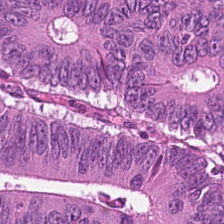Stain: H&E-stained tissue section.
Tissue type: adenocarcinoma.
